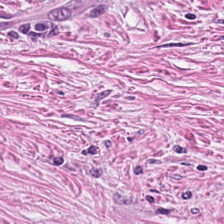Predominantly desmoplastic stroma.
